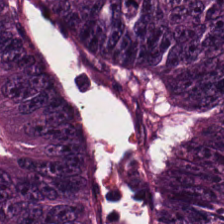Stain: hematoxylin-and-eosin stained section.
Preparation: FFPE tissue section.
Tissue: tumor epithelium.
